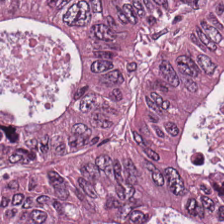Formalin-fixed paraffin-embedded section. Hematoxylin and eosin — Q: What is the predominant tissue type?
A: It is adenocarcinoma.
